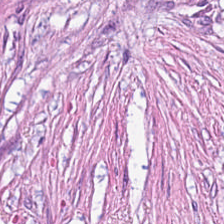Tissue class = cancer-associated stroma.
